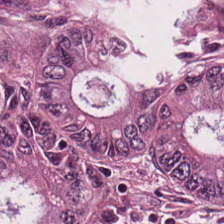H&E stain; 224×224 pixel tile — Predominant tissue: adenocarcinoma.
